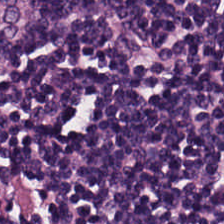H&E. {"tissue_type": "lymphocytic infiltrate"}
